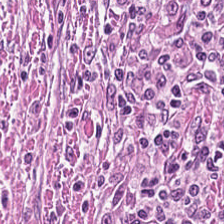0.5 µm/px. Hematoxylin and eosin.
The tissue here is tumor-associated stroma.
